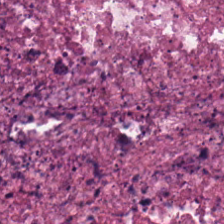H&E stain.
The predominant tissue is debris.
